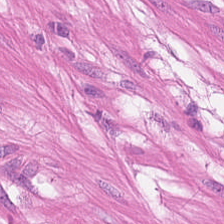Hematoxylin and eosin · 0.5 microns per pixel.
Predominantly smooth-muscle tissue.
